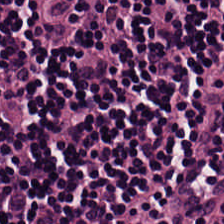Stain: hematoxylin-and-eosin stained section.
Tile size: 224×224 pixel tile.
Acquisition: brightfield microscopy.
Predominant tissue: lymphocytic infiltrate.
